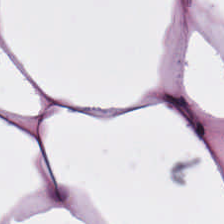H&E-stained tissue section.
Adipocytes.
